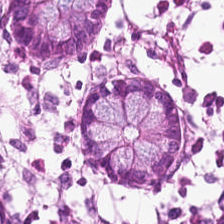Hematoxylin and eosin; 224×224 pixel tile.
The predominant tissue is normal colonic mucosa.
